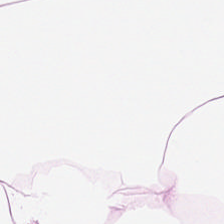{"tissue_type": "adipose"}
